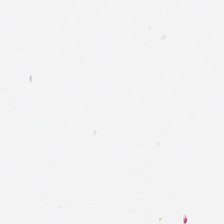Stain: hematoxylin-and-eosin stained section.
Tile size: 224×224 pixel tile.
Classification: background.
